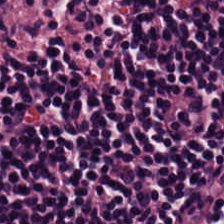H&E stain · brightfield — Tissue = lymphocyte aggregate.
